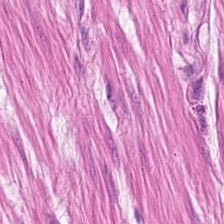H&E stain.
The tissue class is muscularis.
